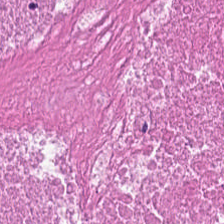H&E. 224×224 pixel tile — Predominant tissue: necrotic debris.
